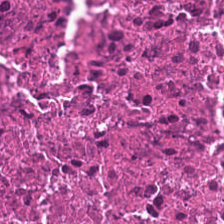Brightfield. 20× equivalent magnification. H&E.
Classification = necrotic debris.
